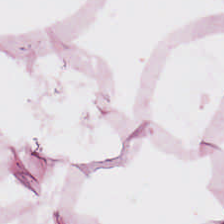H&E stain. WSI patch.
Tissue type — fat tissue.
